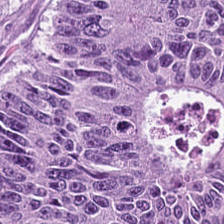H&E-stained tissue section — Predominant tissue: colorectal adenocarcinoma epithelium.
